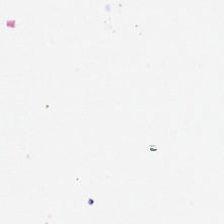0.5 microns per pixel · formalin-fixed paraffin-embedded section · H&E. Content — background (no tissue).
